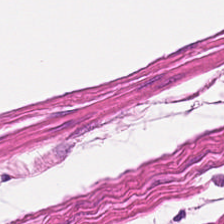224×224 px tile; FFPE; hematoxylin and eosin — Muscularis.
